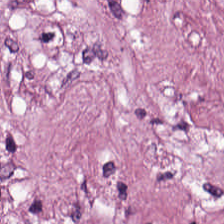FFPE. H&E — Histology → cancer-associated stroma.
